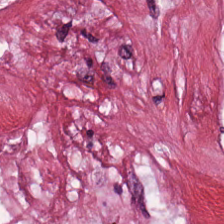H&E-stained tissue section.
Impression → cancer-associated stroma.
